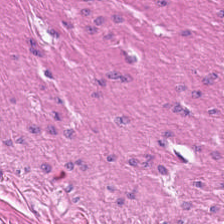Hematoxylin and eosin; 224×224 pixel tile.
Q: What is shown in this field?
A: It is smooth muscle.
